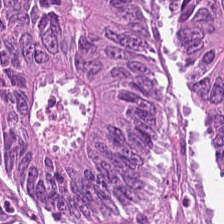H&E stain.
Classification: colorectal adenocarcinoma epithelium.
